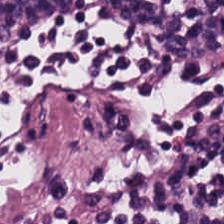Hematoxylin-and-eosin stained section. FFPE — The predominant tissue is lymphoid infiltrate.
